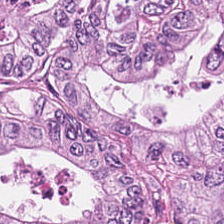H&E · 224×224 px patch. Predominantly colorectal adenocarcinoma.
